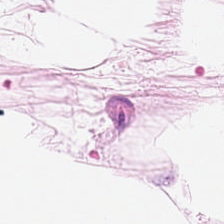0.5 µm/px. H&E-stained tissue section. Tissue type = adipocytes.
